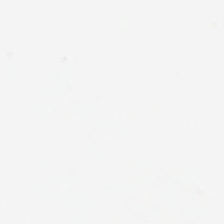Empty field — empty background.
